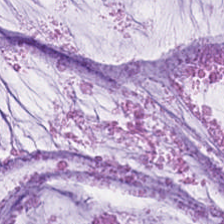Brightfield microscopy · H&E-stained tissue section.
{"tissue_type": "mucin"}
